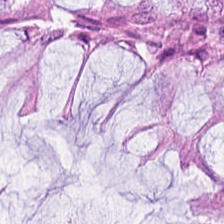H&E patch showing benign colonic mucosa.
